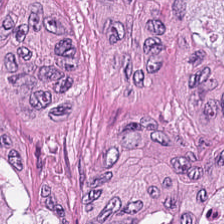Hematoxylin-and-eosin stained section. Malignant epithelium.
